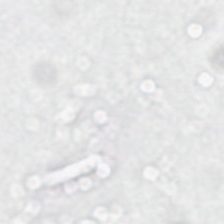Brightfield · 0.5 µm per pixel · H&E.
Histology → no tissue.
